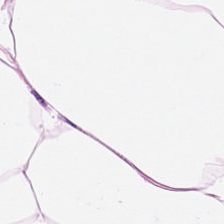Hematoxylin and eosin.
Tissue = adipose tissue.
